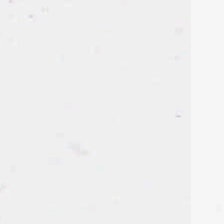Stain: H&E stain.
Classification: empty background.
